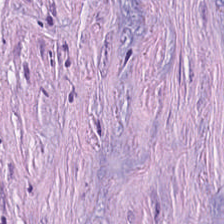Stain: H&E-stained tissue section.
Tile size: 224×224 pixel tile.
Preparation: formalin-fixed paraffin-embedded section.
Tissue class: cancer-associated stroma.
